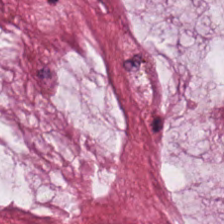H&E-stained tissue section. Q: What is shown in this field?
A: It is mucus.
